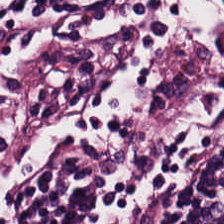Stain: H&E-stained tissue section.
Tissue class: lymphocytes.
